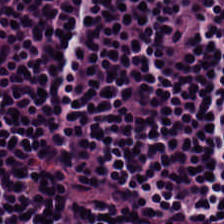224×224 px patch. H&E-stained tissue section.
The tissue is lymphocytic infiltrate.
